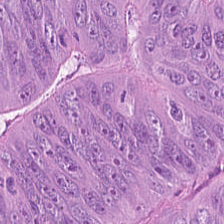Predominantly malignant epithelium.
